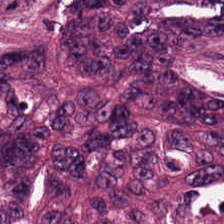Hematoxylin and eosin. Showing colorectal adenocarcinoma epithelium.
